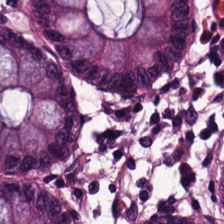Hematoxylin and eosin. Predominantly normal colon mucosa.
